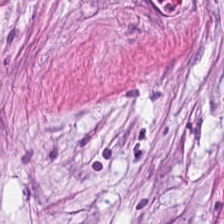Tissue class — tumor-associated stroma.
